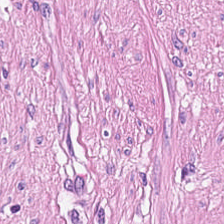This field is smooth-muscle tissue.
